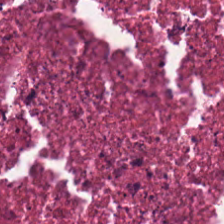Hematoxylin and eosin. Impression — debris.
